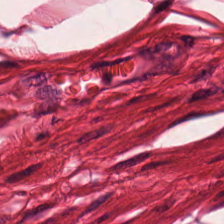Hematoxylin and eosin.
Smooth muscle.
